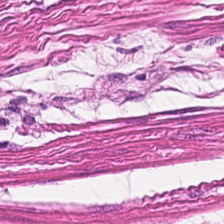0.5 µm per pixel; 224×224 pixel tile; hematoxylin-and-eosin stained section.
Predominant tissue: smooth muscle.
